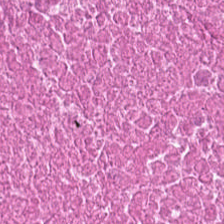Hematoxylin-and-eosin stained section. Debris.
